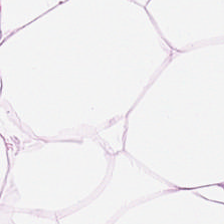Brightfield; H&E-stained tissue section; 224×224 px tile.
Finding — adipose.
